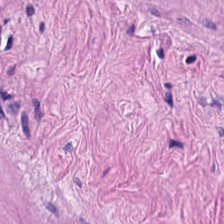H&E. WSI patch.
The tissue class is smooth muscle.
